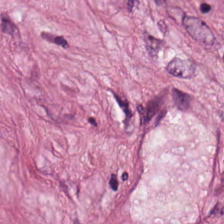224×224 px tile · hematoxylin-and-eosin stained section.
Predominantly tumor-associated stroma.
